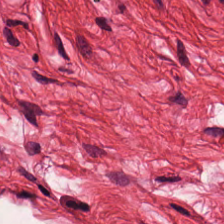Q: What tissue type is shown here?
A: The field shows smooth-muscle tissue.
